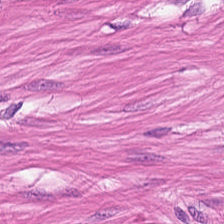Stain: hematoxylin and eosin.
Tissue class: smooth-muscle tissue.
